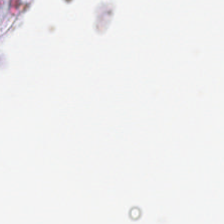Hematoxylin-and-eosin stained section · FFPE tissue section. Background — no tissue in this field.
